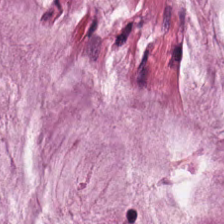H&E stain · 224×224 px tile.
The tissue type is mucin.
